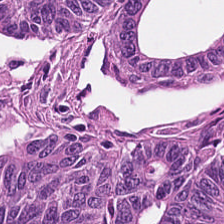H&E — malignant epithelium.
